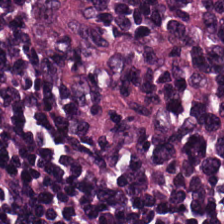H&E-stained tissue section. Classification — lymphoid infiltrate.
